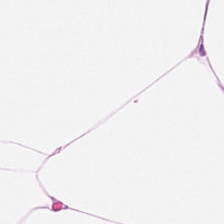Stain: H&E.
Tissue: fat tissue.
